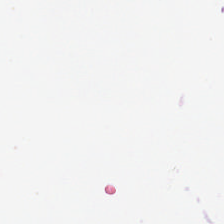Hematoxylin and eosin. This field is background (no tissue).
